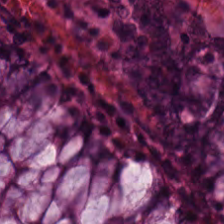H&E-stained tissue section · 0.5 microns per pixel.
This patch shows non-neoplastic colon mucosa.
